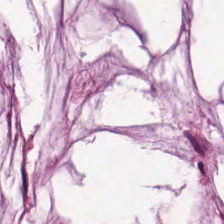H&E-stained tissue section. Brightfield. Predominantly mucin.
